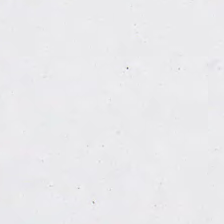Brightfield microscopy · H&E stain — No tissue present; background only.
